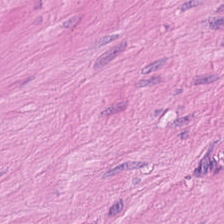Hematoxylin and eosin. FFPE tissue section — This patch shows smooth-muscle tissue.
